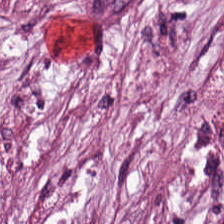H&E stain.
The tissue type is cancer-associated stroma.
